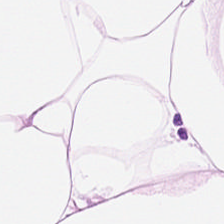This patch shows adipose tissue.
